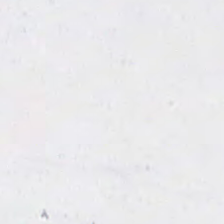Q: What does this patch show?
A: The field shows background (no tissue).
